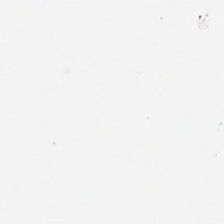Impression → background (no tissue).
